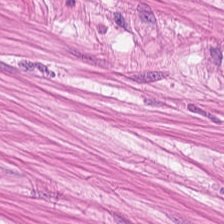H&E · FFPE tissue section. Q: What does this patch show?
A: This is smooth-muscle tissue.
